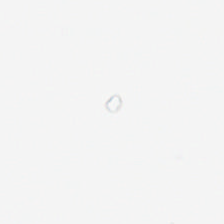H&E. This field is background (no tissue).
